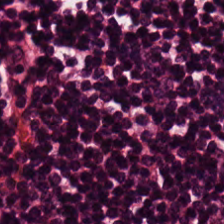FFPE tissue section · hematoxylin and eosin. Q: What is the predominant tissue type?
A: It is lymphocyte aggregate.
